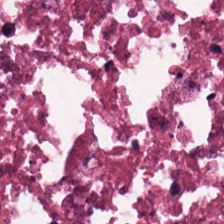Predominantly debris.
